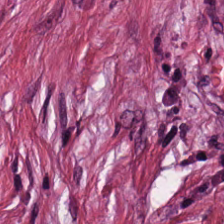Hematoxylin-and-eosin section: tumor stroma.
